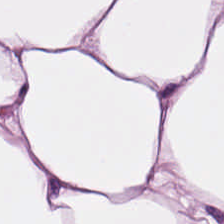H&E stain.
Histology → fat tissue.
